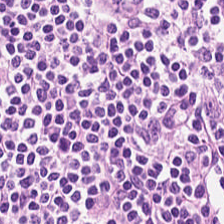Hematoxylin and eosin.
This patch shows lymphocytes.
